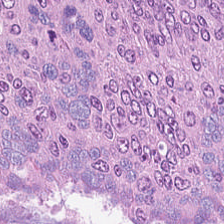Brightfield microscopy. Hematoxylin and eosin. FFPE tissue section — Showing tumor epithelium.
